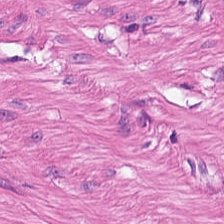Hematoxylin and eosin. Finding → smooth muscle.
